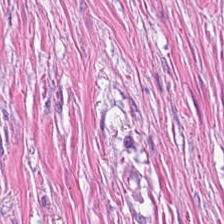Stain: hematoxylin and eosin.
Predominant tissue: tumor-associated stroma.
